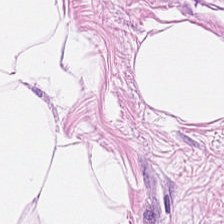Hematoxylin and eosin.
Q: What does this patch show?
A: This is fat tissue.
